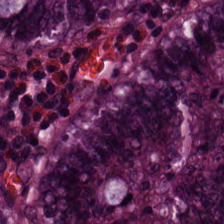Hematoxylin and eosin — Q: What tissue type is shown here?
A: This is normal colonic mucosa.
